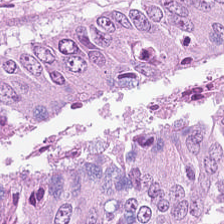Finding — tumor epithelium.
